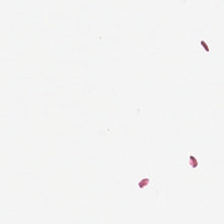H&E-stained tissue section. FFPE tissue section.
Classification: background (no tissue).
